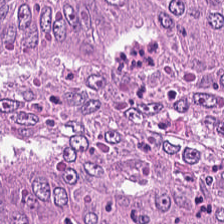20× equivalent magnification; H&E stain.
Tissue type — colorectal adenocarcinoma.
